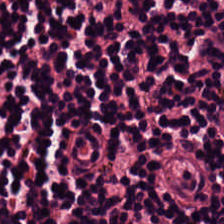20× equivalent magnification. H&E stain.
The tissue is lymphocytic infiltrate.
